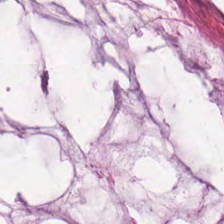Formalin-fixed paraffin-embedded section · hematoxylin and eosin. Q: What type of tissue is this?
A: This is mucus.
